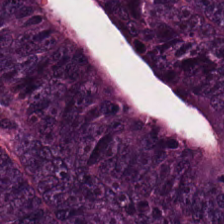Predominant tissue — colorectal adenocarcinoma.
